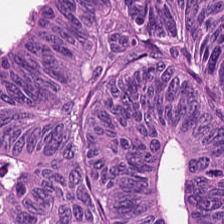H&E-stained tissue section. Showing adenocarcinoma.
